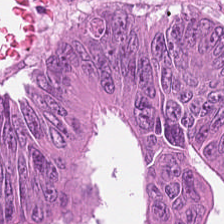Hematoxylin and eosin · 0.5 µm/px. Q: What tissue type is shown here?
A: Malignant epithelium.
